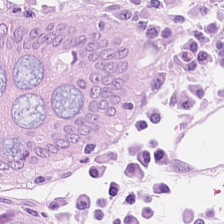H&E-stained section; the field shows normal colon mucosa.
